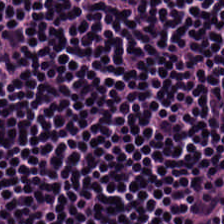224×224 pixel tile · hematoxylin-and-eosin stained section — The predominant tissue is lymphocytes.
